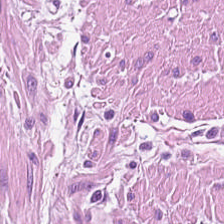Hematoxylin and eosin.
This field is smooth muscle.
